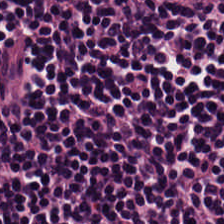Tissue type — lymphocytic infiltrate.
